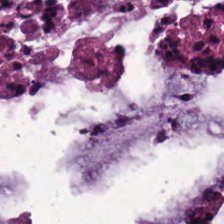This field is extracellular mucin.
